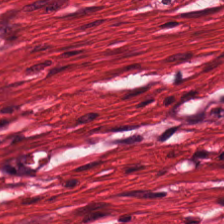0.5 µm/px; WSI patch; H&E-stained tissue section. Predominantly smooth-muscle tissue.
